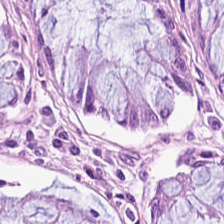H&E-stained tissue section — Q: Identify the tissue.
A: This is non-neoplastic colon mucosa.
